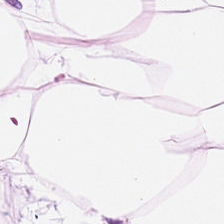Tissue — adipocytes.
